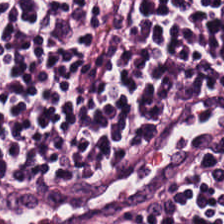The classification is lymphocytes.
